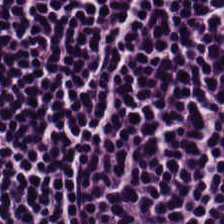H&E.
Finding → lymphoid infiltrate.
